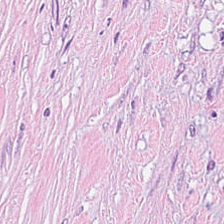H&E stain. 0.5 µm/px — {"tissue_type": "tumor-associated stroma"}
